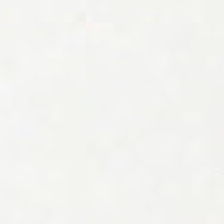Field content — no tissue.
